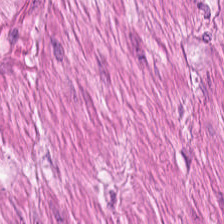Hematoxylin-and-eosin stained section — Tissue class — muscularis.
